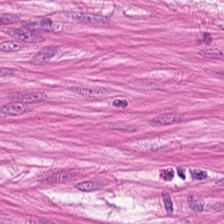H&E; brightfield; 224×224 px tile.
Smooth-muscle tissue.
